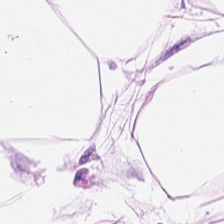H&E-stained tissue section showing adipocytes.
